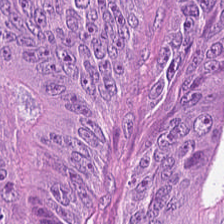Stain: hematoxylin and eosin.
Predominant tissue: malignant epithelium.
